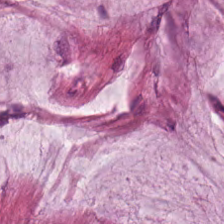Hematoxylin-and-eosin stained section.
Tissue = mucin.
